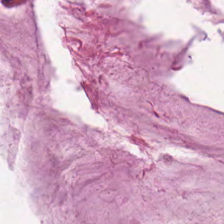Tissue = mucus.
